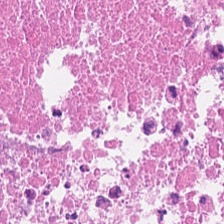Hematoxylin-and-eosin stained section — Finding → debris.
